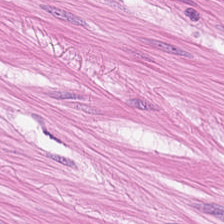H&E stain. Finding — smooth muscle.
